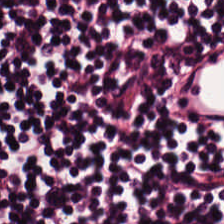Tissue type = lymphoid infiltrate.
